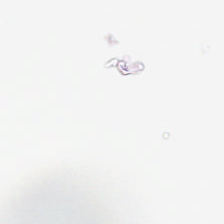Empty field — background.
